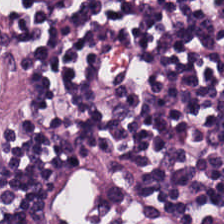Hematoxylin and eosin.
Lymphocyte aggregate.
